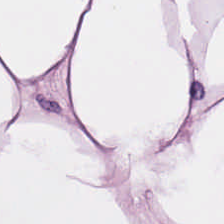H&E-stained tissue section — Showing adipose tissue.
